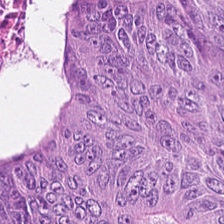The predominant tissue is colorectal adenocarcinoma epithelium.
